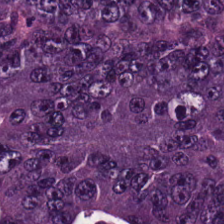Hematoxylin-and-eosin stained section. The predominant tissue is colorectal adenocarcinoma.
